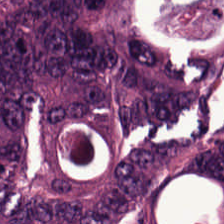H&E. 0.5 µm/px.
Tissue class — colorectal adenocarcinoma.
